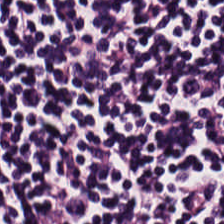FFPE · hematoxylin and eosin.
This patch shows lymphocytic infiltrate.
